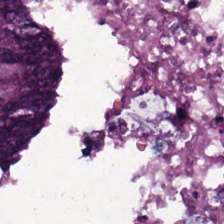Hematoxylin and eosin. Predominantly colorectal adenocarcinoma epithelium.
